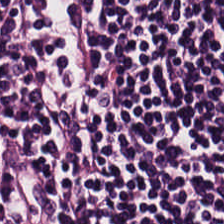FFPE · hematoxylin and eosin.
Histology — lymphocyte aggregate.
